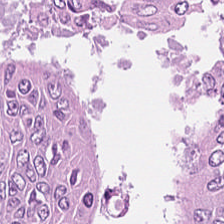H&E — Showing colorectal adenocarcinoma.
